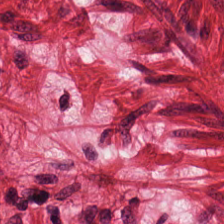H&E.
{"tissue_type": "muscularis"}
